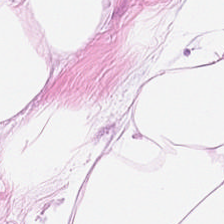H&E stain · brightfield — Adipocytes.
